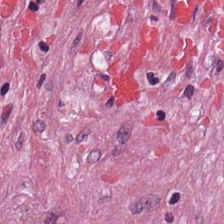H&E stain — This field is tumor stroma.
